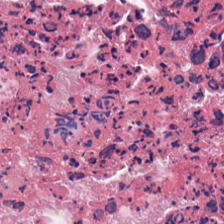H&E stain; FFPE tissue section — Debris.
